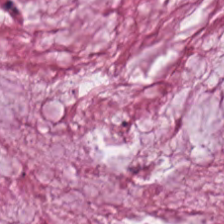Hematoxylin and eosin.
Tissue type — mucin.
